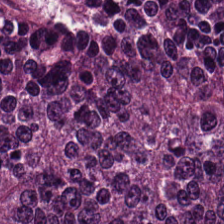Stain: hematoxylin-and-eosin stained section.
Tile size: 224×224 px patch.
Tissue: colorectal adenocarcinoma epithelium.
